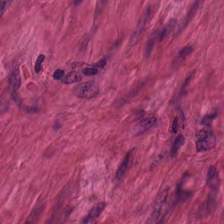Hematoxylin and eosin — Q: What tissue type is shown here?
A: It is muscularis.
